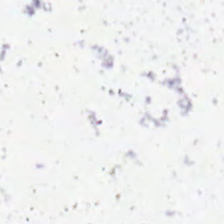Finding → no tissue.
